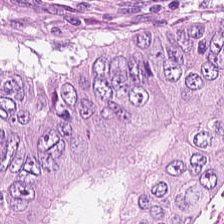224×224 pixel tile · 0.5 µm per pixel · H&E-stained tissue section — This field is colorectal adenocarcinoma.
